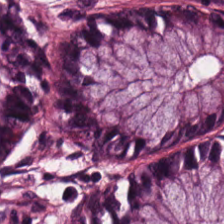224×224 px tile · H&E stain. The predominant tissue is non-neoplastic colon mucosa.
